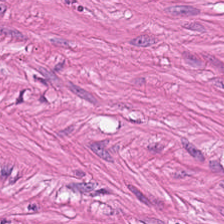Finding → smooth-muscle tissue.
